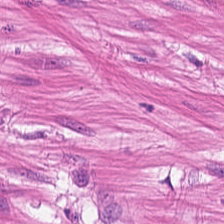Hematoxylin-and-eosin stained section · 224×224 px tile. Predominantly smooth-muscle tissue.
